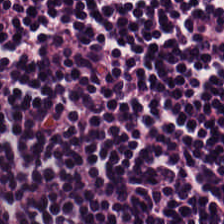224×224 px patch; hematoxylin and eosin — The tissue here is lymphoid infiltrate.
